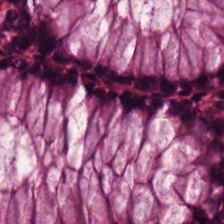H&E stain. WSI patch.
Q: What type of tissue is this?
A: This is non-neoplastic colon mucosa.
